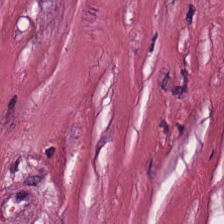Hematoxylin-and-eosin stained section. Impression → tumor-associated stroma.
